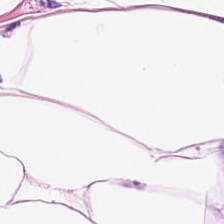Hematoxylin-and-eosin stained section — Finding → adipose.
